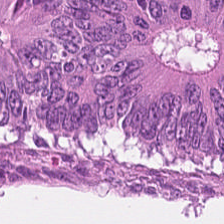H&E-stained tissue section · 0.5 µm per pixel. Predominantly malignant epithelium.
